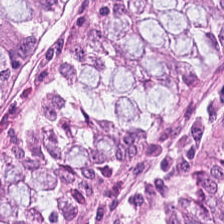H&E stain; whole-slide-image patch; 224×224 px patch.
Normal colon mucosa.
